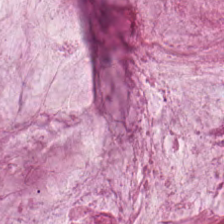Stain: hematoxylin and eosin.
Tissue class: mucin.
